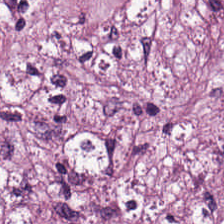H&E; 224×224 px patch; brightfield microscopy — Desmoplastic stroma.
